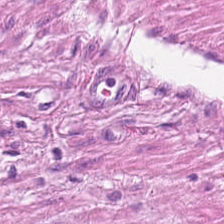Stain: H&E stain.
Tissue type: smooth-muscle tissue.
